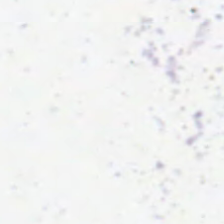Stain: hematoxylin and eosin.
Resolution: 0.5 µm/px.
Field content: no tissue.
